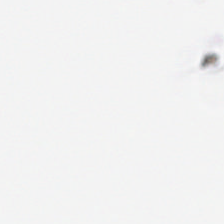No tissue present; background only.
